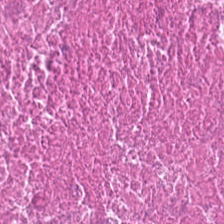H&E stain — Showing cellular debris.
